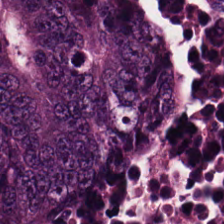H&E-stained tissue section — Q: What type of tissue is this?
A: This is malignant epithelium.
